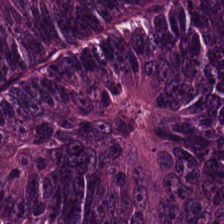This field is adenocarcinoma.
